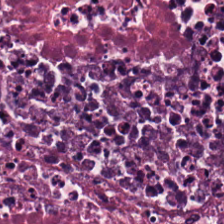H&E stain. The predominant tissue is cellular debris.
